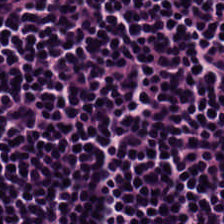Predominantly lymphocytes.
